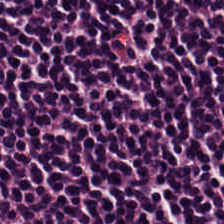Brightfield microscopy. 20× equivalent magnification. Hematoxylin-and-eosin stained section — Finding — lymphocytes.
